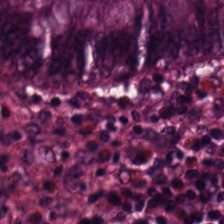H&E-stained tissue section. Whole-slide-image patch. 0.5 µm/px.
Predominant tissue: normal colon mucosa.
